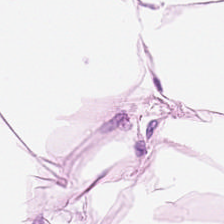Hematoxylin-and-eosin stained section. Tissue: adipocytes.
